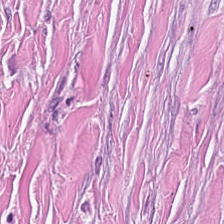H&E. Showing tumor-associated stroma.
